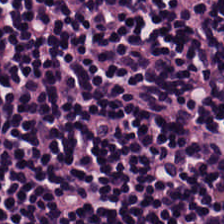H&E. Tissue type = lymphocytic infiltrate.
